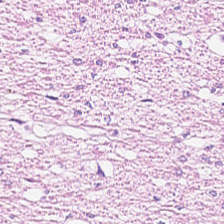FFPE. 224×224 px patch. H&E-stained tissue section. Smooth muscle.
